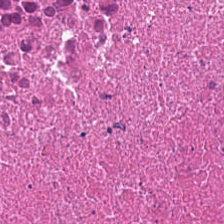Stain: hematoxylin and eosin.
Resolution: 0.5 µm/px.
Tile size: 224×224 px tile.
Tissue type: necrotic debris.
